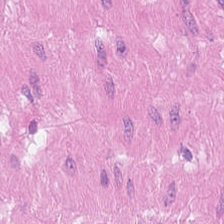Stain: H&E.
Tissue: muscularis.
